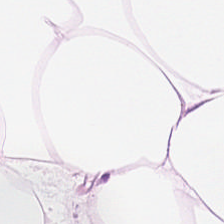Hematoxylin-and-eosin stained section · 224×224 px patch · WSI patch — {"tissue_type": "fat tissue"}
